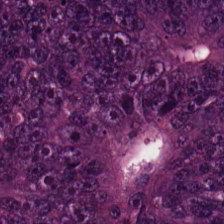Stain: H&E-stained tissue section.
Predominant tissue: malignant epithelium.
